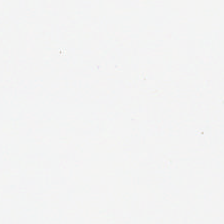Hematoxylin and eosin — Q: What is shown here?
A: This is empty background.
